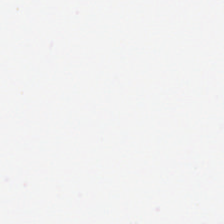Hematoxylin and eosin. Whole-slide-image patch — Content = background (no tissue).
